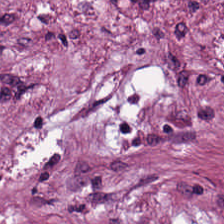Hematoxylin and eosin — Q: What tissue is shown?
A: This is cancer-associated stroma.
